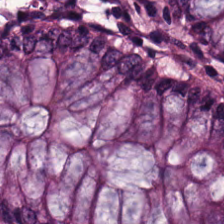Whole-slide-image patch. Formalin-fixed paraffin-embedded section. H&E-stained tissue section.
The tissue class is normal colonic mucosa.
